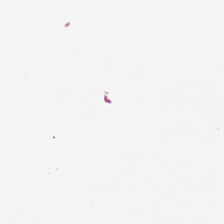Hematoxylin-and-eosin stained section. 0.5 µm/px.
Background (no tissue).
